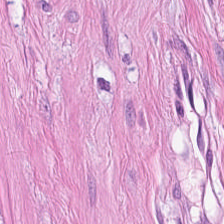Tissue class = smooth muscle.
